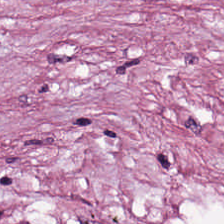224×224 px patch. Hematoxylin-and-eosin stained section. WSI patch — Q: What is the predominant tissue type?
A: The field shows cancer-associated stroma.
